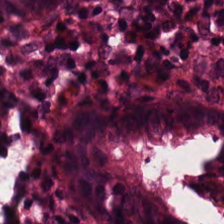H&E. 224×224 pixel tile — Classification = non-neoplastic colon mucosa.
